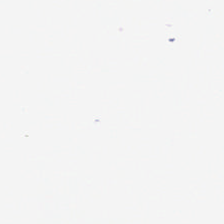H&E.
This patch shows background (no tissue).
